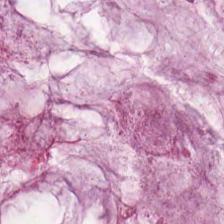H&E-stained tissue section.
Predominant tissue: extracellular mucin.
